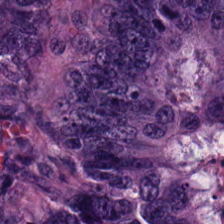H&E. Brightfield microscopy. FFPE.
Q: Classify this patch.
A: This is colorectal adenocarcinoma epithelium.
